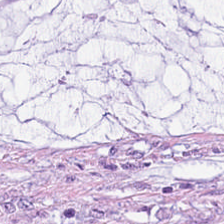H&E-stained tissue section · FFPE — The tissue here is extracellular mucin.
